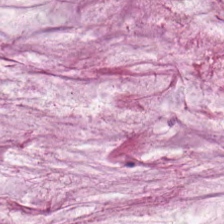H&E stain. Mucin.
